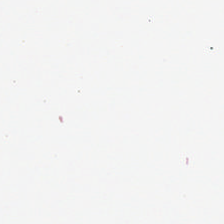H&E stain. 224×224 pixel tile. The content is background (no tissue).
